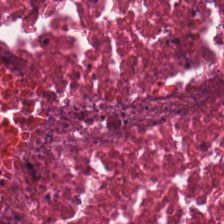Stain: hematoxylin and eosin.
Tissue type: debris.
